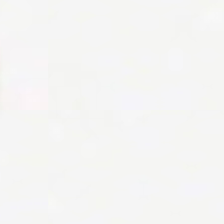H&E.
Content — background (no tissue).
